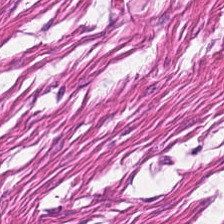H&E-stained tissue section. This field is muscularis.
